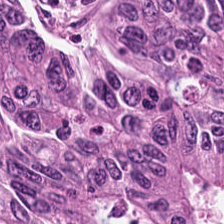Predominant tissue: colorectal adenocarcinoma.
